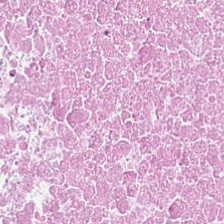H&E; 224×224 px tile — Predominantly necrotic debris.
